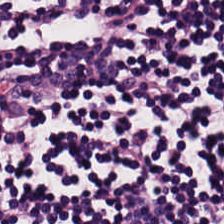H&E stain.
Predominantly lymphocyte aggregate.
